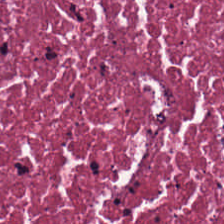Hematoxylin-and-eosin section: debris.
